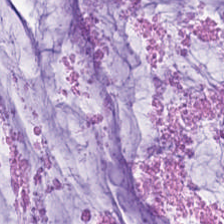224×224 px tile · FFPE tissue section · H&E stain.
Predominantly mucus.
